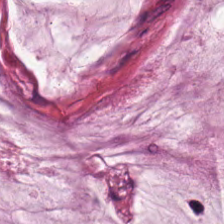Predominantly mucin.
